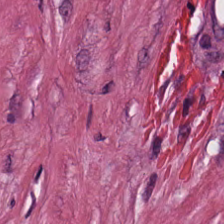20× equivalent magnification · 224×224 px tile · H&E stain. Impression → desmoplastic stroma.
